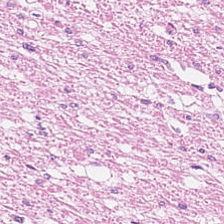0.5 µm/px. H&E stain — Tissue type = smooth-muscle tissue.
